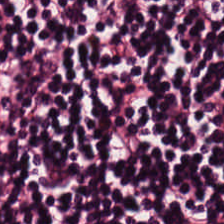H&E-stained tissue section; 224×224 pixel tile; brightfield — Tissue type — lymphocyte aggregate.
